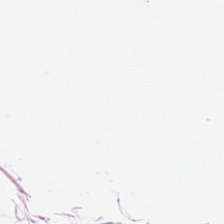H&E stain. Brightfield microscopy — Fat tissue.
